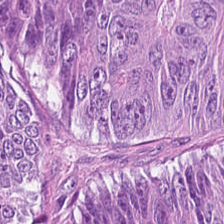20× equivalent magnification; hematoxylin and eosin. Tissue: malignant epithelium.
